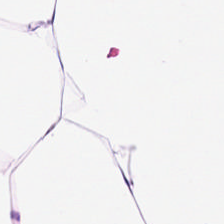H&E-stained tissue section. Q: What is the predominant tissue type?
A: It is adipocytes.
